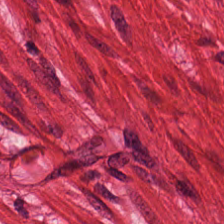Hematoxylin and eosin — Histology → muscularis.
